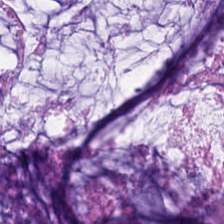H&E-stained tissue section.
This patch shows extracellular mucin.
